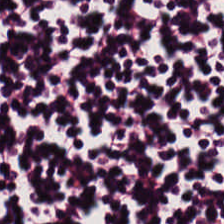H&E; brightfield microscopy — {"tissue_type": "lymphocytes"}
